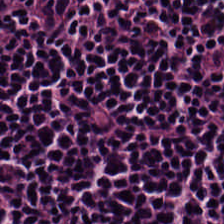Hematoxylin and eosin.
Lymphocyte aggregate.
